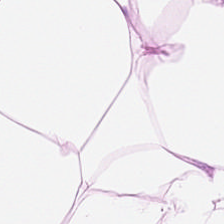H&E — Impression — adipocytes.
